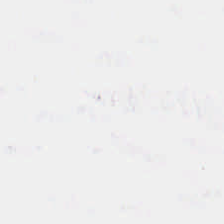FFPE. Hematoxylin-and-eosin stained section.
Field content: background.
